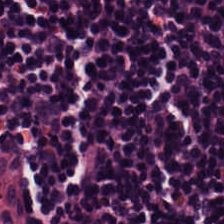Hematoxylin-and-eosin stained section — Predominantly lymphoid infiltrate.
